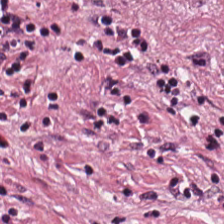H&E stain. Showing tumor-associated stroma.
